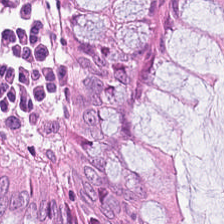Histology → normal colonic mucosa.
